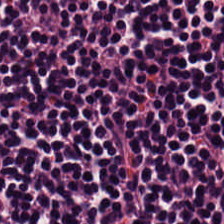Lymphoid infiltrate.
